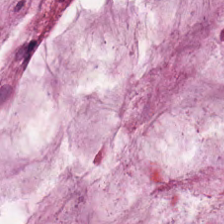Brightfield. 224×224 px tile. H&E. This field is extracellular mucin.
